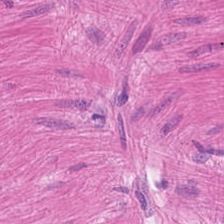H&E; 0.5 microns per pixel. The tissue here is muscularis.
